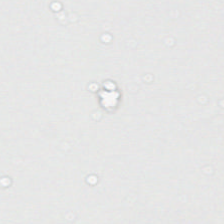H&E.
This patch shows background (no tissue).
